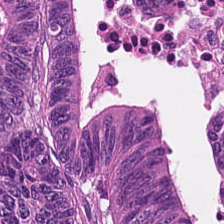Hematoxylin and eosin — Colorectal adenocarcinoma epithelium.
